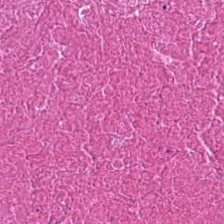Stain: H&E stain.
Tissue: necrotic debris.
